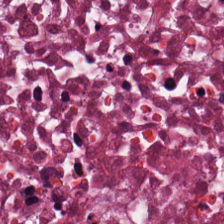0.5 µm/px · hematoxylin-and-eosin stained section · 224×224 pixel tile.
Predominantly necrotic debris.
